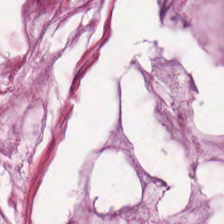Brightfield; H&E-stained tissue section; 20× equivalent magnification.
Q: What tissue type is shown here?
A: This is mucus.
